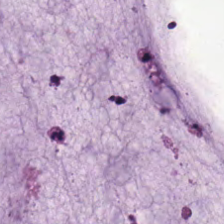Hematoxylin and eosin. 224×224 px tile. Brightfield microscopy. Tissue type = mucin.
